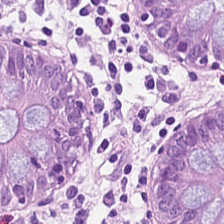Whole-slide-image patch. Hematoxylin and eosin.
This field is non-neoplastic colon mucosa.
